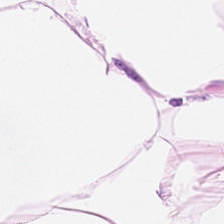The predominant tissue is adipocytes.
